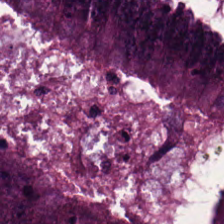Brightfield microscopy · hematoxylin and eosin. Tissue type — malignant epithelium.
